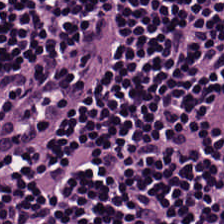Predominantly lymphocyte aggregate.
